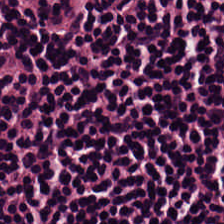0.5 µm/px; H&E stain.
The predominant tissue is lymphoid infiltrate.
